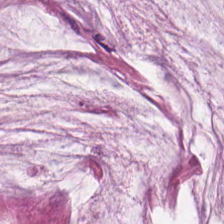Whole-slide-image patch; H&E-stained tissue section.
Q: What is shown in this field?
A: The field shows extracellular mucin.
